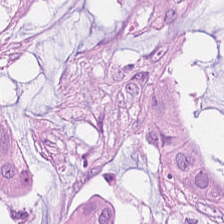H&E-stained tissue section. Q: What tissue is shown?
A: This is colorectal adenocarcinoma.
